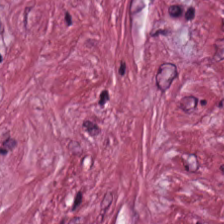Hematoxylin-and-eosin stained section. Cancer-associated stroma.
